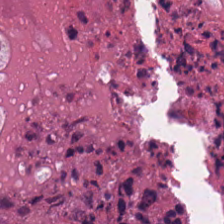Hematoxylin-and-eosin stained section. Cellular debris.
